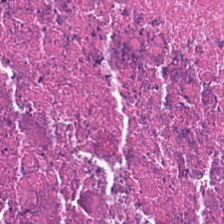FFPE tissue section. Hematoxylin-and-eosin stained section. Histology → necrotic debris.
